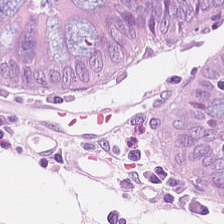Predominant tissue = benign colonic mucosa.
